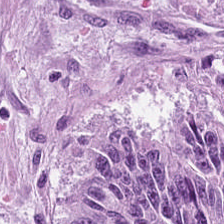Hematoxylin-and-eosin stained section — Q: What is shown here?
A: This is colorectal adenocarcinoma.
